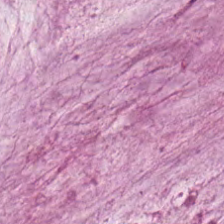Whole-slide-image patch; H&E-stained tissue section. This patch shows extracellular mucin.
